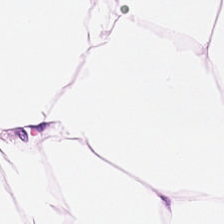Formalin-fixed paraffin-embedded section; H&E stain; 20× equivalent magnification.
Finding — adipose tissue.
